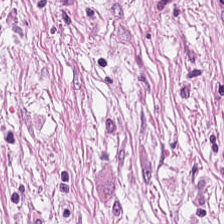Brightfield microscopy. Formalin-fixed paraffin-embedded section. H&E — This field is cancer-associated stroma.
